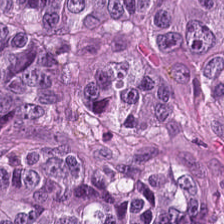The tissue is colorectal adenocarcinoma.
